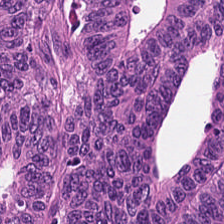Whole-slide-image patch · 0.5 microns per pixel · hematoxylin and eosin.
Histology → colorectal adenocarcinoma.
